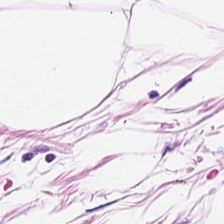Q: What tissue type is shown here?
A: Adipocytes.
